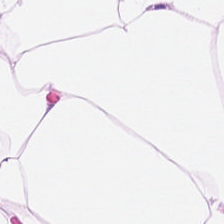Hematoxylin-and-eosin section: fat tissue.
